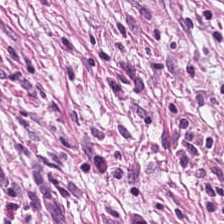H&E.
The tissue class is tumor-associated stroma.
